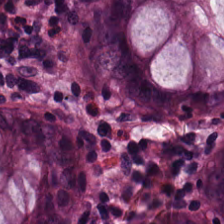Q: What does this patch show?
A: This is benign colonic mucosa.
